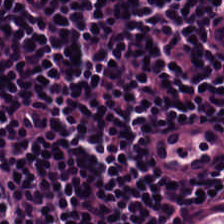H&E; WSI patch; 0.5 microns per pixel — Q: What is the predominant tissue type?
A: The field shows lymphocyte aggregate.
